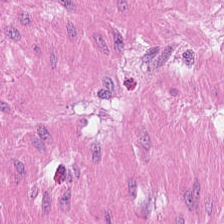H&E; 224×224 pixel tile.
This patch shows smooth-muscle tissue.
